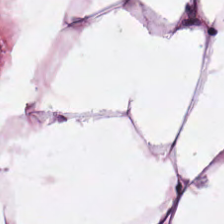H&E stain. 20× equivalent magnification.
Finding — adipocytes.
